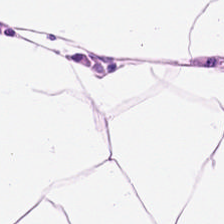H&E. Q: What is the predominant tissue type?
A: It is adipose tissue.
